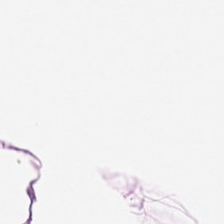H&E-stained tissue section · brightfield microscopy · FFPE tissue section.
{"tissue_type": "fat tissue"}
